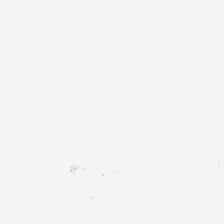H&E-stained tissue section. Q: Classify this patch.
A: Background.
